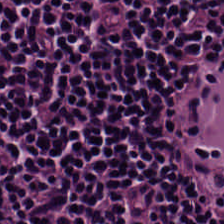H&E. Q: What does this patch show?
A: This is lymphocytes.
